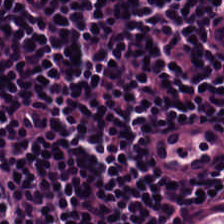H&E — lymphoid infiltrate.
